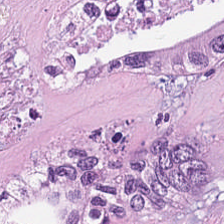224×224 px patch · FFPE tissue section · H&E.
The predominant tissue is cellular debris.
